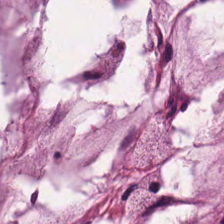H&E. Tissue type — mucus.
